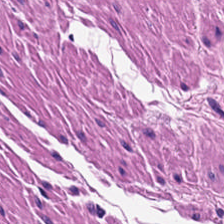Hematoxylin-and-eosin stained section. 224×224 pixel tile — Q: What is the predominant tissue type?
A: It is smooth muscle.
